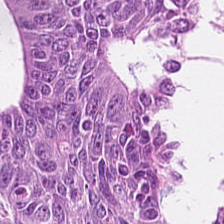H&E-stained tissue section · formalin-fixed paraffin-embedded section. Q: Classify this patch.
A: It is colorectal adenocarcinoma epithelium.
